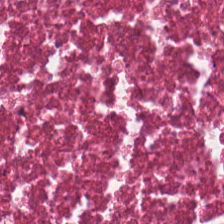H&E; 20× equivalent magnification; 224×224 px patch. The tissue here is debris.
